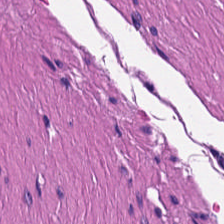Hematoxylin and eosin — The tissue here is muscularis.
